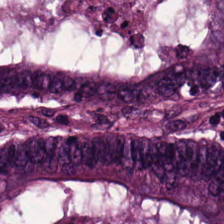H&E-stained tissue section — Showing malignant epithelium.
